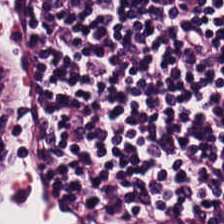H&E-stained section; the field shows lymphoid infiltrate.
